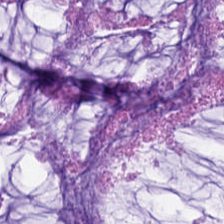Hematoxylin-and-eosin section: mucus.
